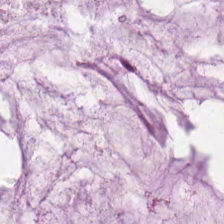H&E. Q: What type of tissue is this?
A: Extracellular mucin.
